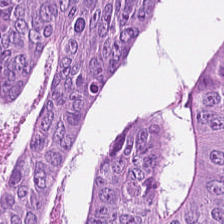The predominant tissue is tumor epithelium.
